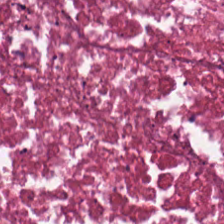H&E stain. This field is debris.
